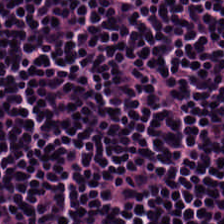This field is lymphoid infiltrate.
